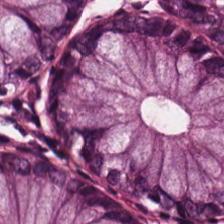H&E stain.
Tissue type = benign colonic mucosa.
